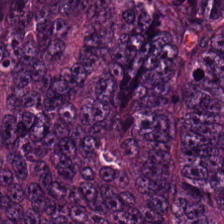Predominant tissue: tumor epithelium.
